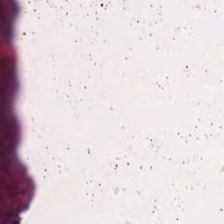H&E-stained tissue section.
Tissue class = necrotic debris.
